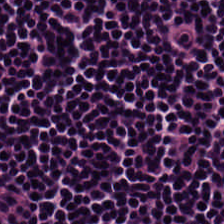The tissue class is lymphocytic infiltrate.
